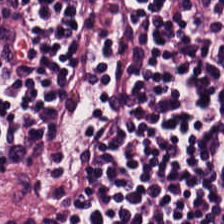224×224 px tile; H&E stain; brightfield.
The tissue here is lymphocytes.
